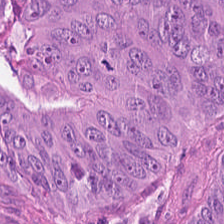Hematoxylin-and-eosin stained section. This patch shows tumor epithelium.
